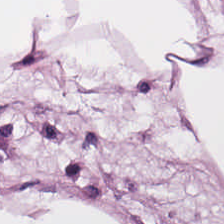Q: What tissue is shown?
A: This is fat tissue.
